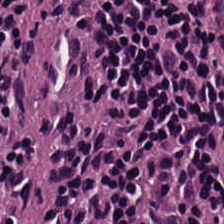Q: Classify this patch.
A: It is lymphocytic infiltrate.
